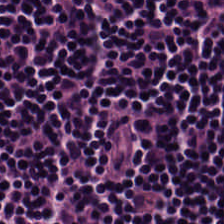Stain: hematoxylin and eosin.
Predominant tissue: lymphoid infiltrate.
